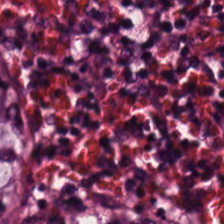Stain: hematoxylin-and-eosin stained section.
Tile size: 224×224 pixel tile.
Tissue class: benign colonic mucosa.
